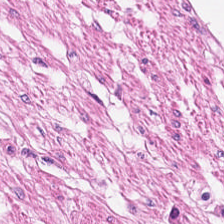Brightfield · hematoxylin and eosin — Smooth-muscle tissue.
